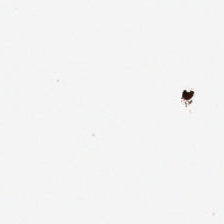H&E stain. {"content": "background"}
